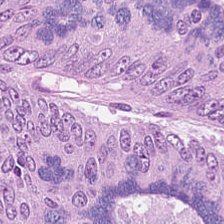Histology → colorectal adenocarcinoma.
